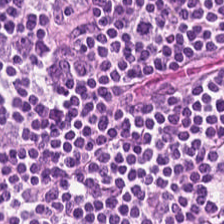Hematoxylin and eosin. This field is lymphocyte aggregate.
